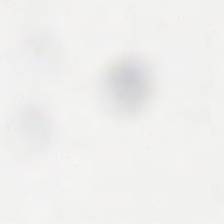Brightfield · H&E.
Empty field — empty background.
